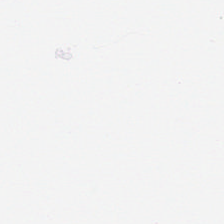Empty background.
